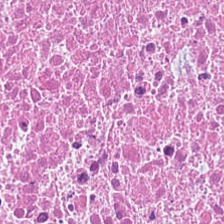Q: What is the predominant tissue type?
A: It is debris.
